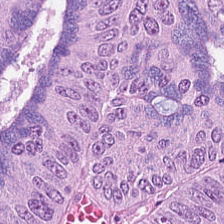H&E-stained tissue section — Histology — adenocarcinoma.
